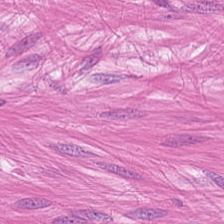Hematoxylin-and-eosin stained section; 224×224 px patch; 0.5 µm per pixel — The tissue here is smooth muscle.
